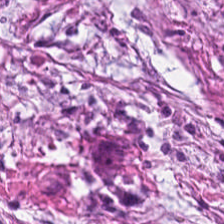Hematoxylin and eosin. Tissue type: tumor-associated stroma.
